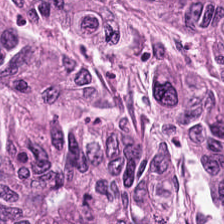0.5 µm per pixel · whole-slide-image patch · hematoxylin-and-eosin stained section — This patch shows colorectal adenocarcinoma epithelium.
